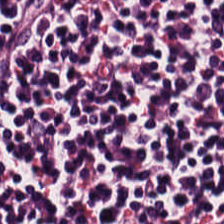H&E-stained tissue section · 224×224 px tile.
{"tissue_type": "lymphoid infiltrate"}
